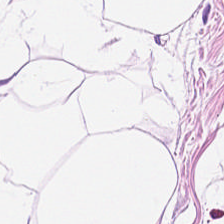Predominant tissue = adipose tissue.
